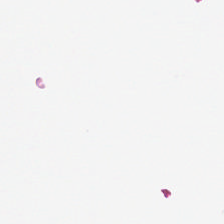Histology → background.
